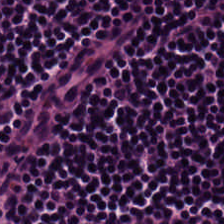H&E stain; formalin-fixed paraffin-embedded section.
The classification is lymphocyte aggregate.
